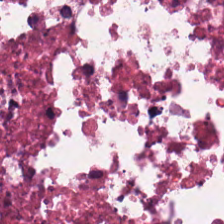Formalin-fixed paraffin-embedded section · H&E · 224×224 px tile — Q: What is shown in this field?
A: The field shows cellular debris.
